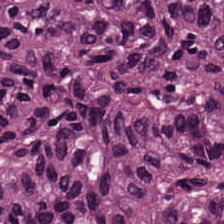FFPE tissue section · H&E · 0.5 µm per pixel.
The tissue class is colorectal adenocarcinoma.
